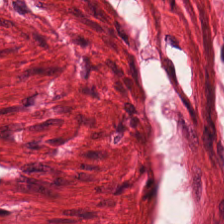Histology — smooth muscle.
